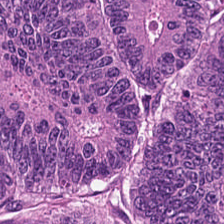This patch shows colorectal adenocarcinoma.
